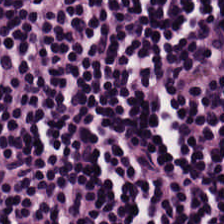The tissue here is lymphocytes.
